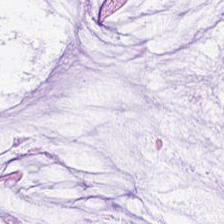H&E — Tissue class — extracellular mucin.
